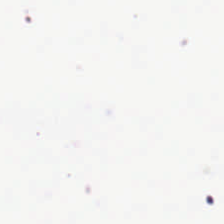Stain: hematoxylin and eosin.
Tile size: 224×224 px tile.
Field content: no tissue.
